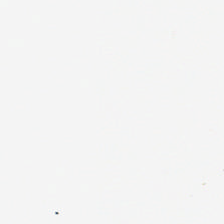Hematoxylin and eosin; 224×224 px tile — No tissue present; background only.
